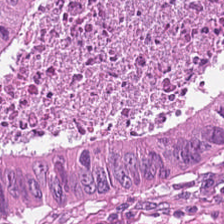224×224 pixel tile · hematoxylin and eosin. Predominant tissue — colorectal adenocarcinoma.
